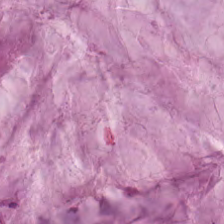Stain: H&E stain.
Acquisition: WSI patch.
Predominant tissue: extracellular mucin.
